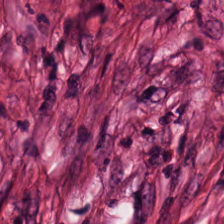Hematoxylin-and-eosin stained section.
This patch shows desmoplastic stroma.
